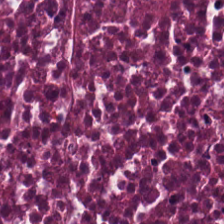H&E-stained tissue section. Predominantly necrotic debris.
